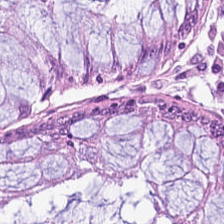Hematoxylin-and-eosin stained section — The predominant tissue is normal colon mucosa.
